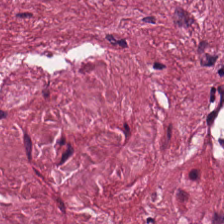H&E stain; formalin-fixed paraffin-embedded section; whole-slide-image patch. Tissue type: cancer-associated stroma.
